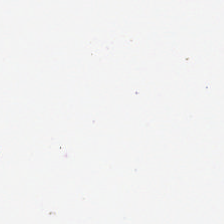20× equivalent magnification. H&E stain — No tissue.
